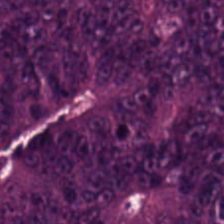Histology → colorectal adenocarcinoma.
